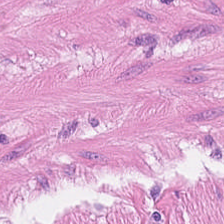H&E-stained tissue section. 224×224 px tile. Smooth-muscle tissue.
